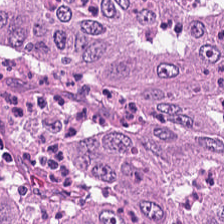H&E stain. Showing colorectal adenocarcinoma epithelium.
